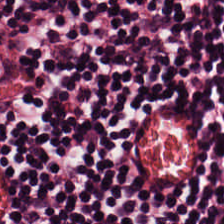Formalin-fixed paraffin-embedded section. Hematoxylin and eosin. Showing lymphocyte aggregate.
